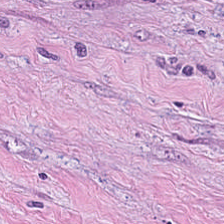Stain: H&E stain.
Tissue type: tumor-associated stroma.
